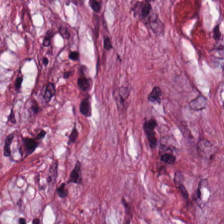Stain: hematoxylin-and-eosin stained section.
Tissue: cancer-associated stroma.
